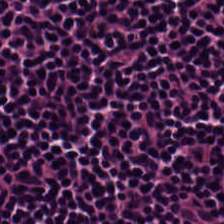The predominant tissue is lymphocytic infiltrate.
